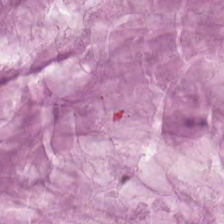Hematoxylin-and-eosin stained section. Tissue type — mucin.
